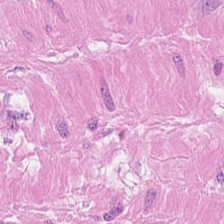H&E-stained tissue section — Tissue = muscularis.
